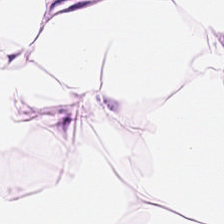WSI patch. H&E stain — {"tissue_type": "adipocytes"}
